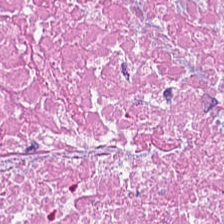H&E-stained tissue section; 0.5 µm per pixel. Tissue type = cellular debris.
